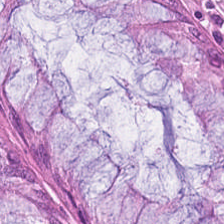Q: What does this patch show?
A: This is non-neoplastic colon mucosa.
